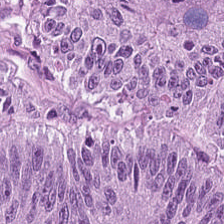Predominant tissue = malignant epithelium.
